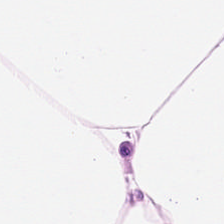H&E stain.
Showing adipocytes.
